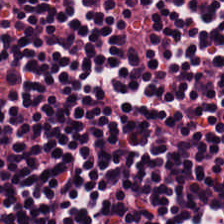{"tissue_type": "lymphoid infiltrate"}
